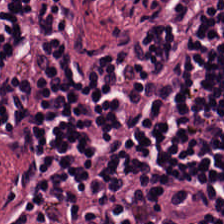The tissue is lymphoid infiltrate.
